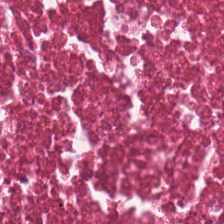0.5 µm/px. 224×224 pixel tile. H&E. Classification = debris.
